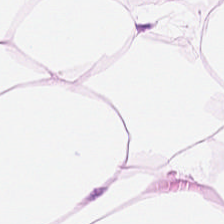Predominant tissue: adipose tissue.
